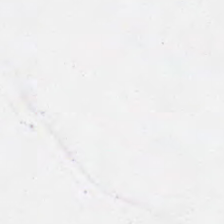Whole-slide-image patch · H&E.
Field content = empty background.
